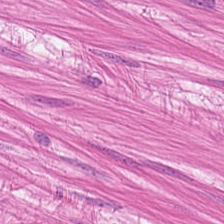Q: What is shown here?
A: This is smooth-muscle tissue.
